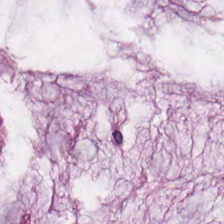H&E. Q: Identify the tissue.
A: This is mucus.
